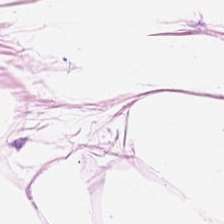Fat tissue.
